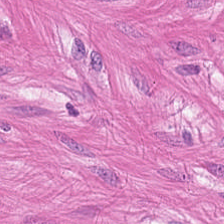224×224 px patch · H&E-stained tissue section. Predominant tissue: smooth muscle.
